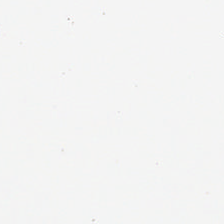Stain: H&E.
Preparation: FFPE.
Classification: background (no tissue).
